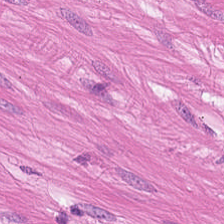Stain: H&E-stained tissue section.
Classification: smooth muscle.
